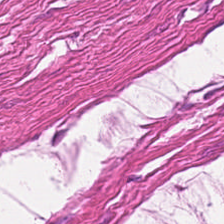Hematoxylin-and-eosin stained section; whole-slide-image patch; 0.5 µm/px — Q: What does this patch show?
A: It is muscularis.
